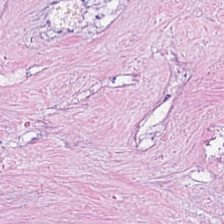H&E-stained tissue section. Tissue class = necrotic debris.
